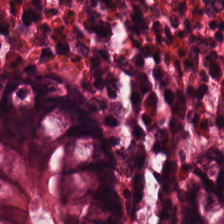0.5 µm per pixel. Hematoxylin-and-eosin stained section. 224×224 pixel tile. Classification: normal colonic mucosa.
